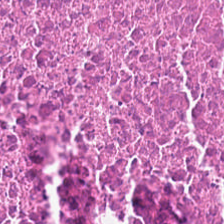H&E stain. Tissue class = cellular debris.
